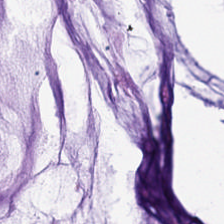Classification = mucus.
